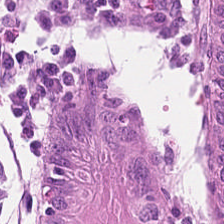Q: What type of tissue is this?
A: The field shows normal colonic mucosa.
